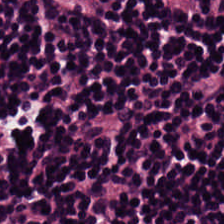Stain: hematoxylin and eosin.
Tissue: lymphocytic infiltrate.
